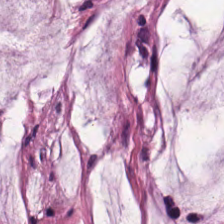Stain: H&E stain.
Tissue: mucus.
